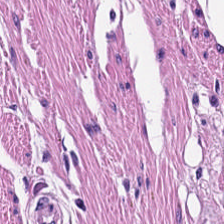Brightfield microscopy. Hematoxylin-and-eosin stained section — {"tissue_type": "smooth-muscle tissue"}
